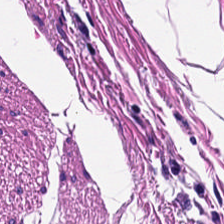0.5 µm per pixel · H&E.
Classification: smooth muscle.
